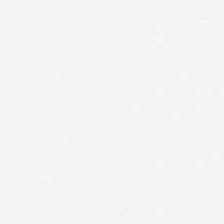Q: What is shown in this field?
A: It is empty background.
